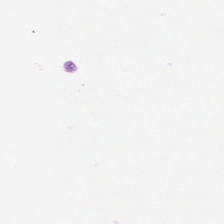H&E. Impression → background (no tissue).
